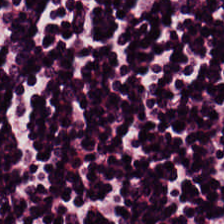Predominant tissue: lymphocytes.
